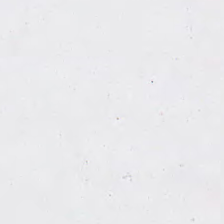FFPE tissue section. H&E stain.
Background — no tissue in this field.
